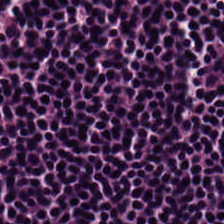FFPE tissue section; H&E. Q: What tissue type is shown here?
A: Lymphocytic infiltrate.
